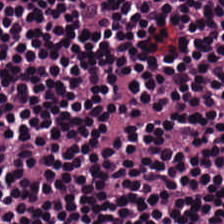FFPE. Hematoxylin-and-eosin stained section. 0.5 µm/px — The tissue here is lymphocytic infiltrate.
